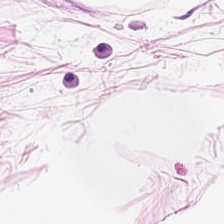H&E stain. Tissue: adipocytes.
